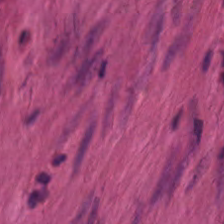Tissue type — smooth-muscle tissue.
